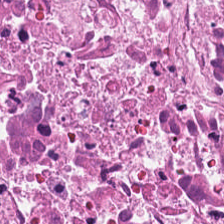H&E stain. The predominant tissue is debris.
